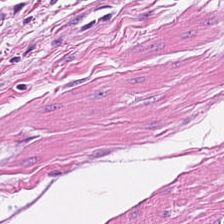H&E-stained tissue section — Smooth-muscle tissue.
